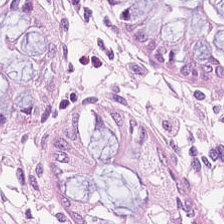H&E. Histology → non-neoplastic colon mucosa.
